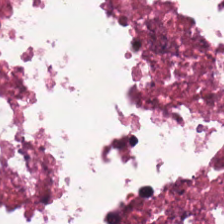H&E · formalin-fixed paraffin-embedded section.
Showing necrotic debris.
